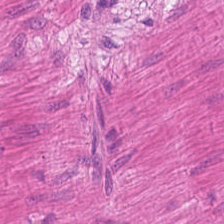Stain: H&E.
Acquisition: brightfield.
Tissue: muscularis.
